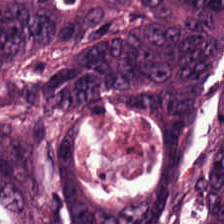This field is adenocarcinoma.
